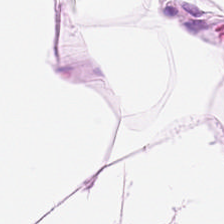Hematoxylin-and-eosin stained section — Q: What is shown here?
A: Adipose tissue.
